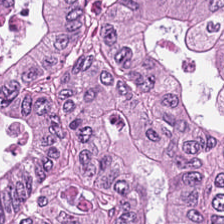H&E stain · 224×224 px tile.
Tissue — colorectal adenocarcinoma epithelium.
